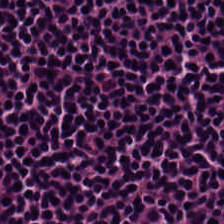Hematoxylin-and-eosin stained section — {"tissue_type": "lymphoid infiltrate"}
